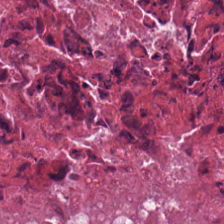H&E — Tissue type: necrotic debris.
